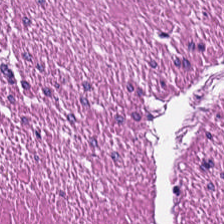Hematoxylin and eosin.
This patch shows muscularis.
